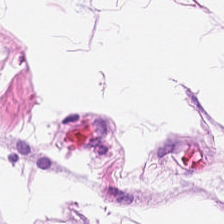WSI patch; 0.5 µm/px; hematoxylin and eosin. Q: What type of tissue is this?
A: The field shows adipose tissue.
